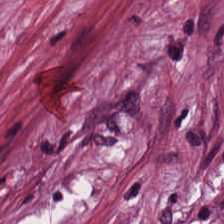H&E-stained tissue section · formalin-fixed paraffin-embedded section.
Q: Classify this patch.
A: Cancer-associated stroma.
